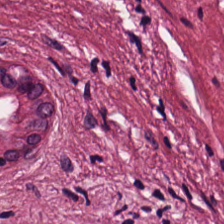The predominant tissue is tumor stroma.
